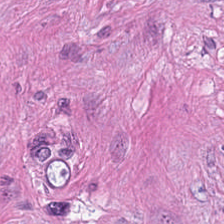0.5 µm/px · hematoxylin and eosin · 224×224 pixel tile.
Desmoplastic stroma.
